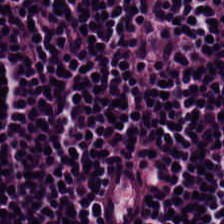Brightfield microscopy; hematoxylin-and-eosin stained section — Predominantly lymphocyte aggregate.
